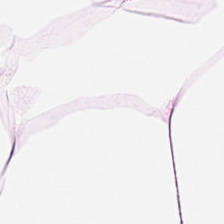H&E-stained tissue section · formalin-fixed paraffin-embedded section. Predominantly adipocytes.
